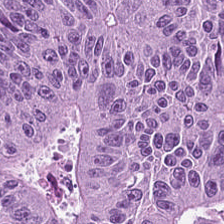Stain: H&E stain.
Acquisition: brightfield microscopy.
Tissue: adenocarcinoma.
